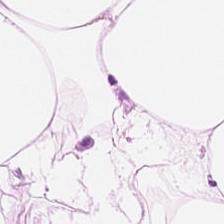H&E stain. Q: Classify this patch.
A: This is adipose.
